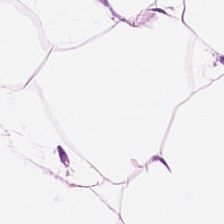Hematoxylin-and-eosin stained section. 224×224 pixel tile — This field is fat tissue.
